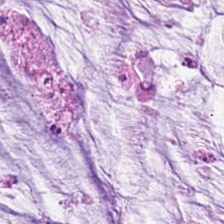0.5 microns per pixel. H&E-stained tissue section. 224×224 px tile. Showing mucus.
